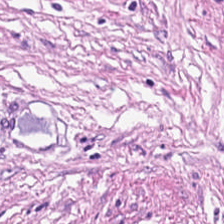Hematoxylin and eosin. Formalin-fixed paraffin-embedded section. Brightfield. The tissue here is cancer-associated stroma.
